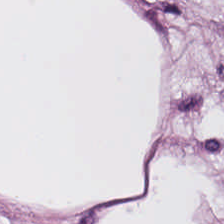Hematoxylin and eosin. Formalin-fixed paraffin-embedded section.
Adipose.
